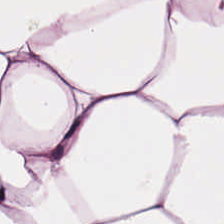Hematoxylin-and-eosin stained section · 0.5 µm per pixel — This field is adipose.
